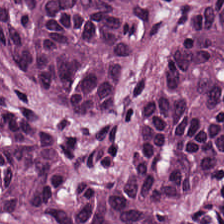FFPE · H&E-stained tissue section.
Q: What tissue is shown?
A: This is malignant epithelium.
